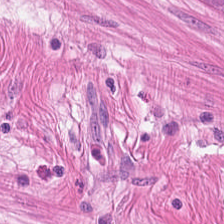H&E-stained tissue section.
Tissue type: smooth-muscle tissue.
